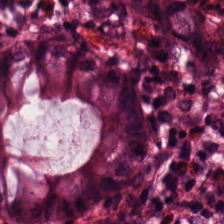Hematoxylin and eosin · WSI patch. {"tissue_type": "benign colonic mucosa"}
